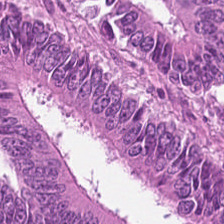FFPE tissue section. 224×224 px patch. H&E.
Predominant tissue = tumor epithelium.
